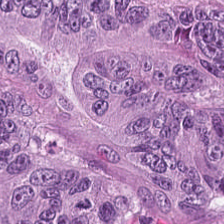Stain: H&E.
Tile size: 224×224 pixel tile.
Classification: adenocarcinoma.
